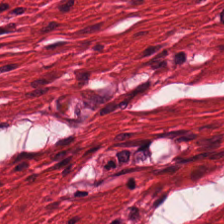H&E-stained tissue section. Q: What tissue is shown?
A: The field shows muscularis.
